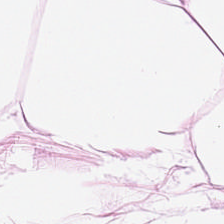The tissue type is fat tissue.
